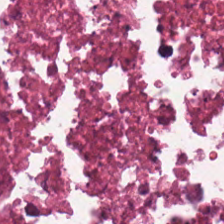Hematoxylin and eosin · whole-slide-image patch.
Finding — debris.
